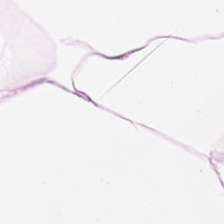20× equivalent magnification; H&E-stained tissue section. Predominantly fat tissue.
